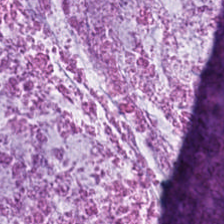Formalin-fixed paraffin-embedded section; hematoxylin and eosin. Impression → mucin.
